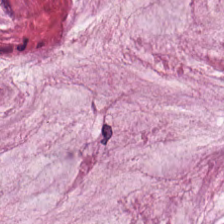Hematoxylin-and-eosin stained section. Whole-slide-image patch.
Predominant tissue = mucus.
